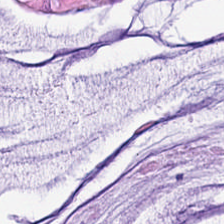H&E stain.
Q: What tissue type is shown here?
A: It is mucin.
